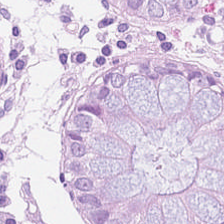Showing benign colonic mucosa.
